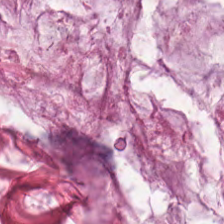Stain: hematoxylin-and-eosin stained section.
Acquisition: brightfield microscopy.
Tissue: mucin.
